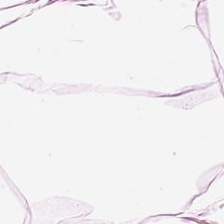Formalin-fixed paraffin-embedded section; 0.5 microns per pixel; H&E stain.
Tissue — adipose tissue.
